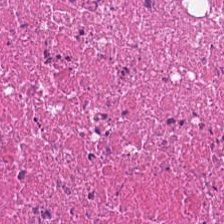FFPE tissue section. Hematoxylin-and-eosin stained section. 0.5 microns per pixel.
Tissue — necrotic debris.
